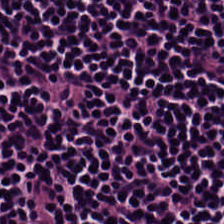Stain: H&E.
Tissue: lymphocytic infiltrate.
